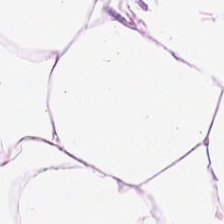Stain: H&E.
Classification: adipocytes.
